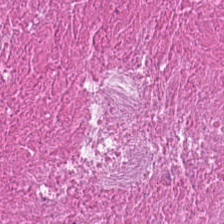H&E-stained tissue section — Tissue: necrotic debris.
